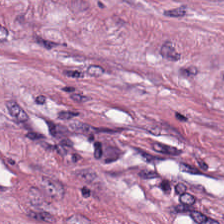H&E stain. The tissue here is desmoplastic stroma.
